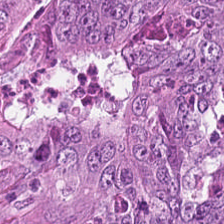Hematoxylin-and-eosin stained section.
The tissue here is colorectal adenocarcinoma epithelium.
